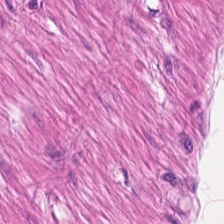224×224 px tile; H&E-stained tissue section — Showing smooth muscle.
